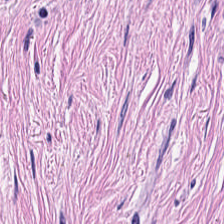WSI patch. H&E stain. This patch shows tumor-associated stroma.
